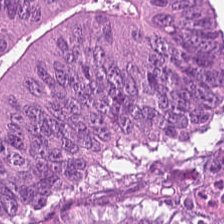H&E stain · brightfield · 0.5 µm/px — Impression → colorectal adenocarcinoma epithelium.
